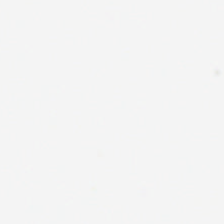Hematoxylin-and-eosin stained section.
The classification is background (no tissue).
